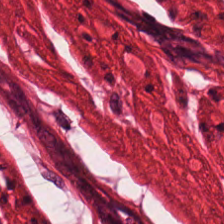H&E stain. Q: What tissue type is shown here?
A: The field shows smooth muscle.
